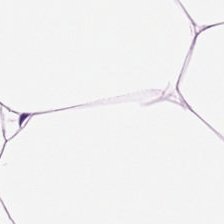Stain: H&E stain.
Tissue: adipose.
